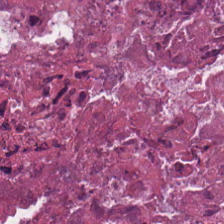Whole-slide-image patch. H&E — The tissue class is debris.
